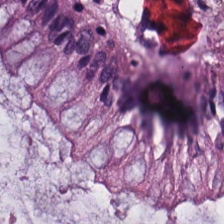FFPE tissue section. 224×224 pixel tile. H&E. Predominant tissue: normal colonic mucosa.
